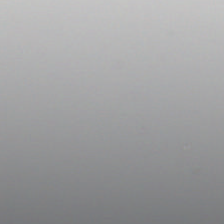Stain: hematoxylin and eosin.
Preparation: formalin-fixed paraffin-embedded section.
Content: no tissue.
